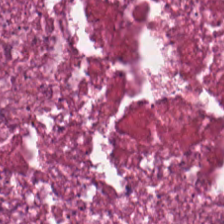H&E-stained tissue section. Predominant tissue = debris.
